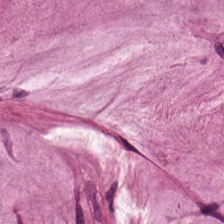Predominant tissue: extracellular mucin.
